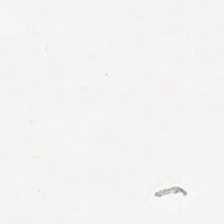0.5 µm/px · hematoxylin and eosin. Finding → background.
